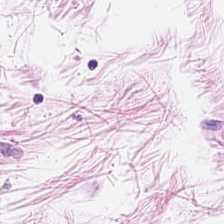Hematoxylin and eosin · 0.5 microns per pixel · FFPE.
Tissue class — adipose.
